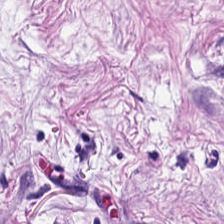Tissue type: tumor-associated stroma.
